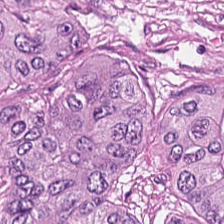Hematoxylin and eosin. FFPE. Whole-slide-image patch. Finding → colorectal adenocarcinoma epithelium.
